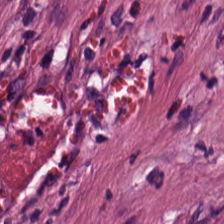H&E-stained tissue section — Impression — tumor-associated stroma.
